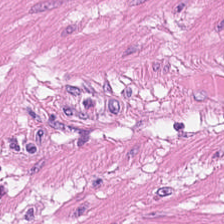Predominant tissue — smooth muscle.
